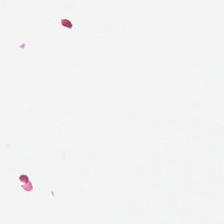Classification = background (no tissue).
